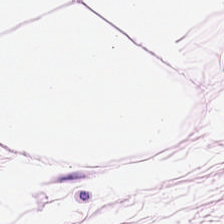H&E — adipose tissue.
